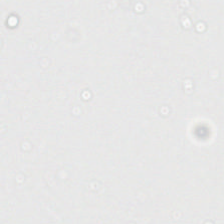H&E — Empty field — background.
